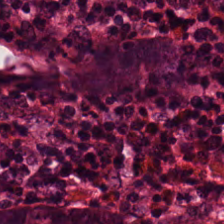Stain: H&E.
Preparation: FFPE tissue section.
Tile size: 224×224 pixel tile.
Predominant tissue: non-neoplastic colon mucosa.
